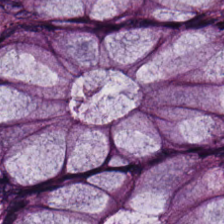Stain: H&E.
Tissue class: normal colonic mucosa.
